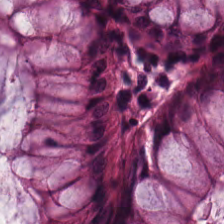Whole-slide-image patch · 20× equivalent magnification · H&E. This patch shows normal colon mucosa.
